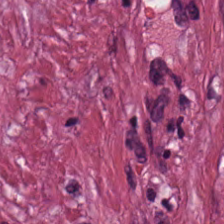H&E stain.
Tumor-associated stroma.
